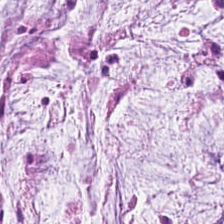Whole-slide-image patch. Hematoxylin-and-eosin stained section. 20× equivalent magnification. Tissue: mucus.
